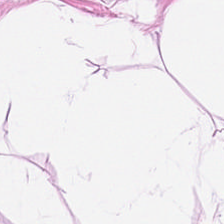Stain: H&E-stained tissue section.
Tissue: adipocytes.
